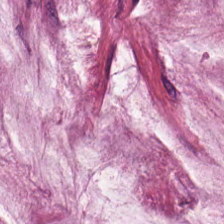H&E-stained tissue section.
Predominant tissue: mucus.
